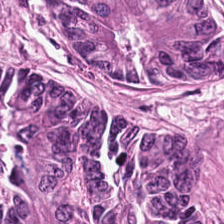Hematoxylin-and-eosin stained section. Histology → tumor epithelium.
